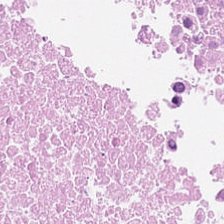H&E-stained tissue section.
This field is cellular debris.
